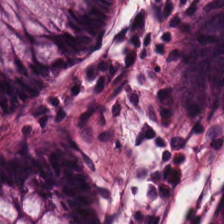Whole-slide-image patch. Hematoxylin-and-eosin stained section.
This field is non-neoplastic colon mucosa.
